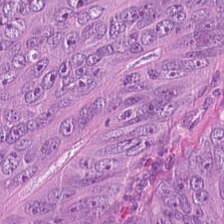Hematoxylin-and-eosin stained section. Tissue type = tumor epithelium.
